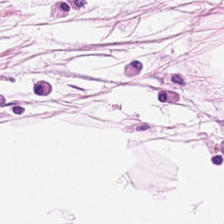Stain: H&E.
Tissue type: adipocytes.
